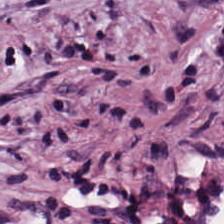Stain: H&E-stained tissue section.
Preparation: FFPE.
Acquisition: brightfield.
Tissue: tumor stroma.
